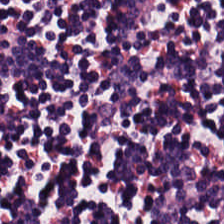Stain: hematoxylin and eosin.
Tile size: 224×224 px tile.
Tissue class: lymphocytic infiltrate.
